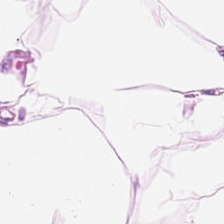H&E-stained tissue section.
This field is adipose tissue.
